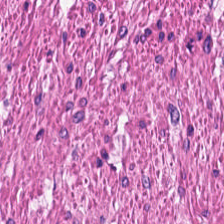0.5 µm per pixel · formalin-fixed paraffin-embedded section · H&E stain.
Smooth-muscle tissue.
